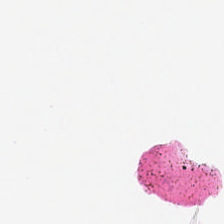This field is background (no tissue).
